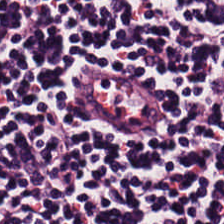Histology → lymphocytic infiltrate.
